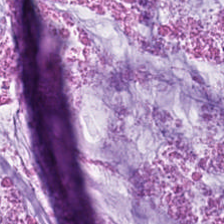0.5 microns per pixel · 224×224 pixel tile · H&E — Q: What tissue is shown?
A: The field shows mucus.
